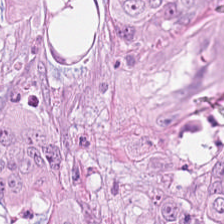224×224 pixel tile. H&E. Q: What tissue is shown?
A: Adenocarcinoma.
